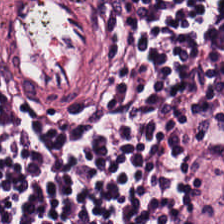H&E. Impression → lymphoid infiltrate.
